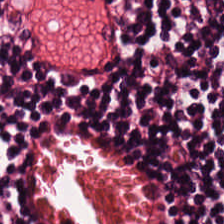WSI patch · H&E · 224×224 pixel tile. Predominantly lymphocyte aggregate.
